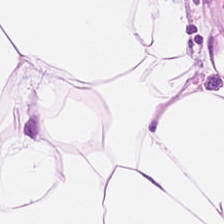Hematoxylin-and-eosin stained section.
The predominant tissue is adipose.
